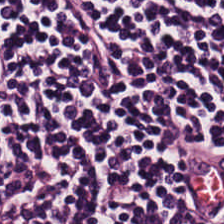Stain: H&E.
Tissue type: lymphoid infiltrate.
